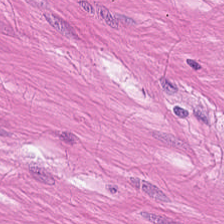H&E stain; WSI patch. This field is smooth muscle.
